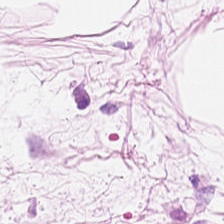H&E-stained tissue section.
Adipose tissue.
